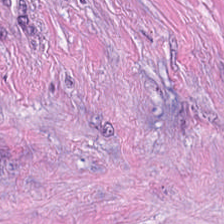H&E stain. Classification = tumor-associated stroma.
